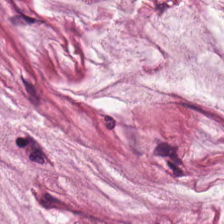Hematoxylin and eosin.
Q: What type of tissue is this?
A: It is extracellular mucin.
